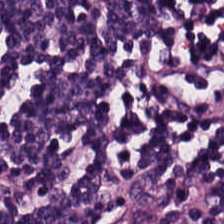Hematoxylin and eosin · 224×224 px patch · 0.5 microns per pixel.
Predominant tissue — lymphocyte aggregate.
